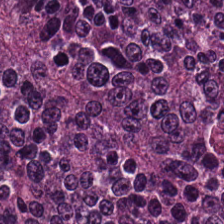This patch shows tumor epithelium.
